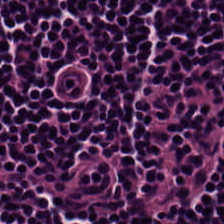H&E-stained tissue section; WSI patch — Predominantly lymphocytic infiltrate.
